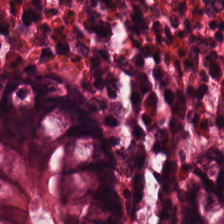Classification — normal colon mucosa.
